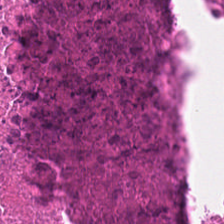H&E. 224×224 pixel tile.
Histology — debris.
